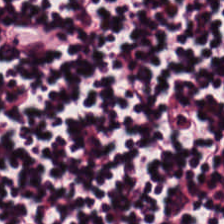H&E.
The tissue type is lymphocytes.
